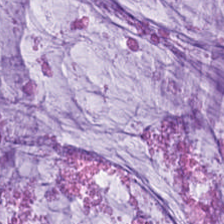FFPE tissue section; hematoxylin-and-eosin stained section.
{"tissue_type": "mucus"}
